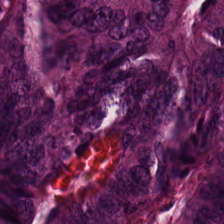Formalin-fixed paraffin-embedded section. H&E stain.
Q: What type of tissue is this?
A: It is tumor epithelium.
